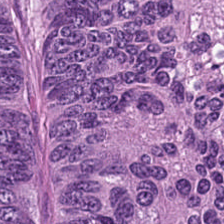Hematoxylin and eosin; 224×224 px patch. Classification: colorectal adenocarcinoma epithelium.
